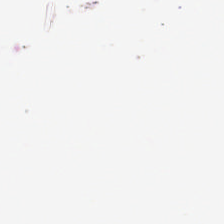H&E stain. 224×224 px patch. Q: What does this patch show?
A: The field shows no tissue.
